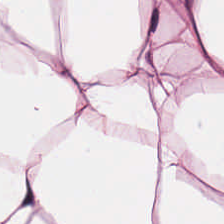FFPE tissue section; hematoxylin and eosin; whole-slide-image patch — The tissue is adipose.
